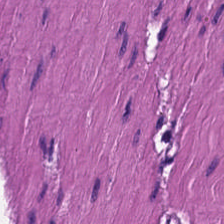H&E — The predominant tissue is muscularis.
